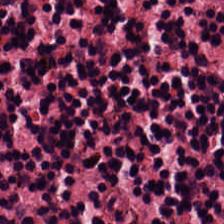Whole-slide-image patch. FFPE. Hematoxylin and eosin.
The tissue here is lymphocytic infiltrate.
